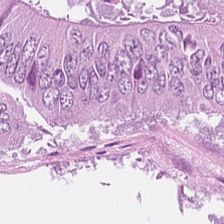This patch shows colorectal adenocarcinoma epithelium.
